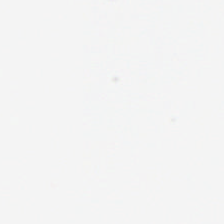Hematoxylin-and-eosin stained section. Q: What is shown here?
A: It is no tissue.
